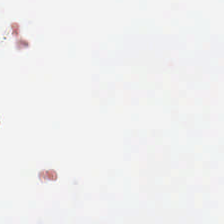FFPE. H&E-stained tissue section. No tissue present; background only.
